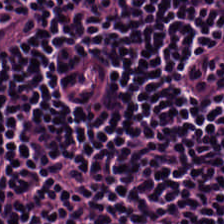Stain: hematoxylin-and-eosin stained section.
Preparation: FFPE.
Resolution: 0.5 µm per pixel.
Predominant tissue: lymphocytes.
